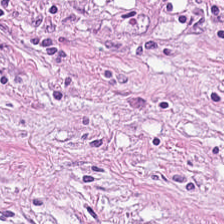Hematoxylin-and-eosin stained section · 224×224 px tile. Showing tumor-associated stroma.
